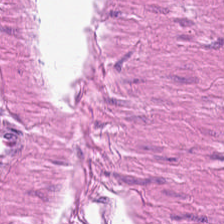224×224 pixel tile; H&E-stained tissue section; formalin-fixed paraffin-embedded section. Smooth-muscle tissue.
